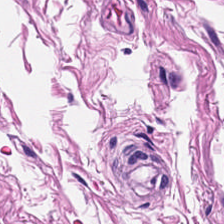H&E. Tissue: smooth-muscle tissue.
